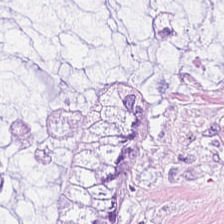H&E-stained tissue section — Histology → mucus.
